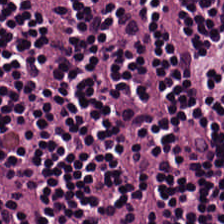Stain: H&E-stained tissue section.
Classification: lymphocytes.
